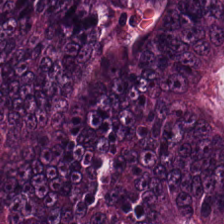Hematoxylin-and-eosin stained section. Classification: colorectal adenocarcinoma epithelium.
